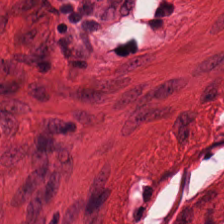The tissue here is smooth muscle.
